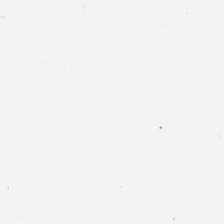H&E. Content — empty background.
